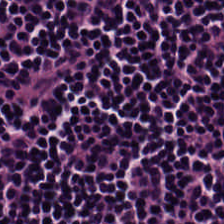Hematoxylin-and-eosin stained section. Formalin-fixed paraffin-embedded section. This field is lymphoid infiltrate.
